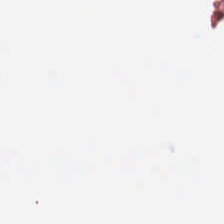H&E stain — Empty field — no tissue.
